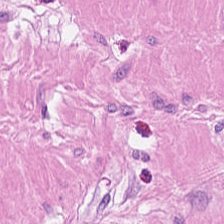Q: Identify the tissue.
A: The field shows smooth muscle.
